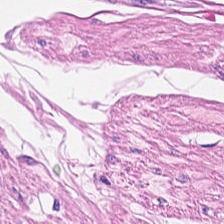Hematoxylin-and-eosin section: smooth-muscle tissue.
